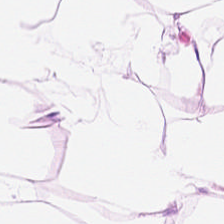Hematoxylin and eosin.
Showing fat tissue.
